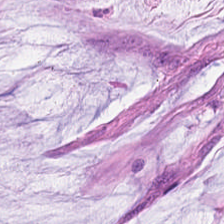Stain: hematoxylin and eosin.
Tissue type: mucus.
